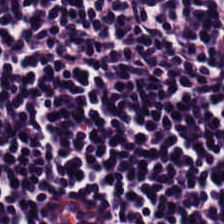H&E · FFPE tissue section. Q: What tissue is shown?
A: Lymphocyte aggregate.
